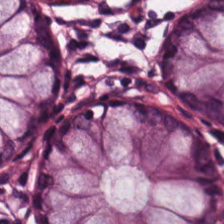H&E stain. 0.5 µm/px.
The predominant tissue is benign colonic mucosa.
